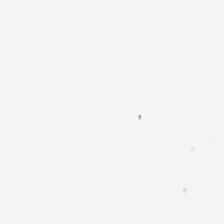Hematoxylin and eosin; FFPE. Histology → empty background.
